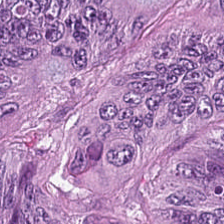H&E — This patch shows tumor epithelium.
